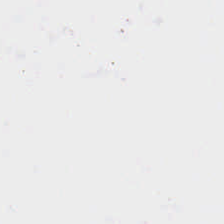Q: What is shown here?
A: It is background.
